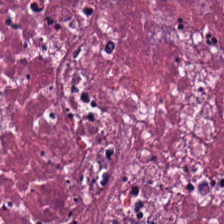H&E — Predominantly debris.
